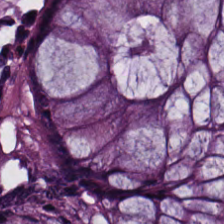H&E-stained tissue section showing normal colonic mucosa.
